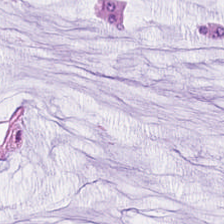H&E-stained tissue section · whole-slide-image patch. Histology → extracellular mucin.
